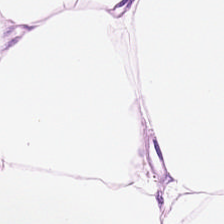Hematoxylin and eosin. Brightfield. 0.5 microns per pixel. Adipocytes.
